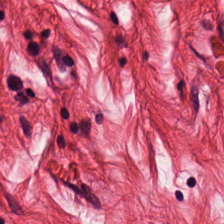Hematoxylin and eosin; formalin-fixed paraffin-embedded section; 224×224 pixel tile — Impression — muscularis.
